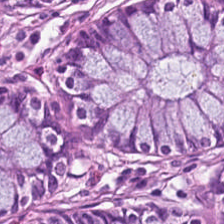224×224 px tile · H&E.
Classification: normal colon mucosa.
